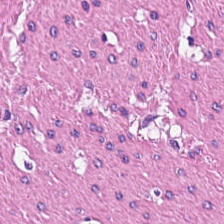Hematoxylin and eosin — Q: What tissue type is shown here?
A: Muscularis.
